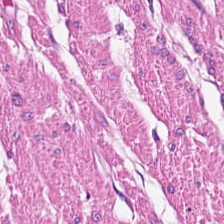Whole-slide-image patch; 224×224 px patch; H&E — Q: What is the predominant tissue type?
A: This is smooth muscle.
